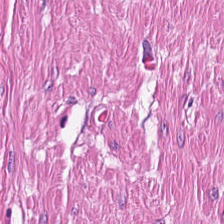{"tissue_type": "muscularis"}
